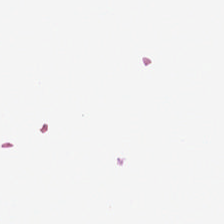Hematoxylin and eosin.
This patch shows empty background.
